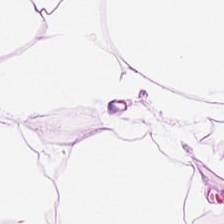H&E-stained tissue section — Q: What type of tissue is this?
A: Fat tissue.
